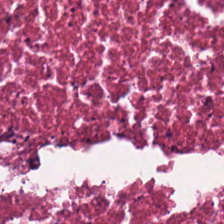0.5 µm per pixel. H&E-stained tissue section. Whole-slide-image patch — Cellular debris.
